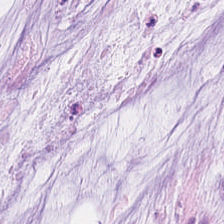H&E. The predominant tissue is extracellular mucin.
